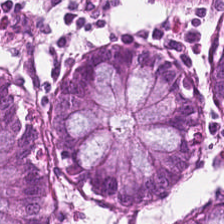H&E patch showing normal colon mucosa.
